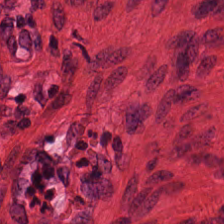This patch shows smooth-muscle tissue.
